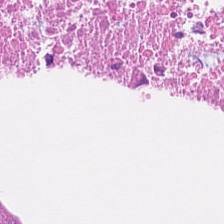Histology — debris.
